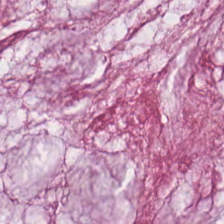Brightfield · 224×224 pixel tile · H&E-stained tissue section — Classification: mucin.
